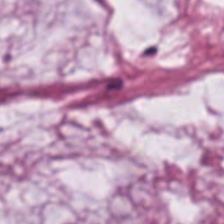H&E. Predominant tissue — extracellular mucin.
